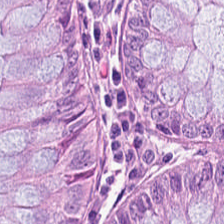Q: Classify this patch.
A: Normal colon mucosa.
